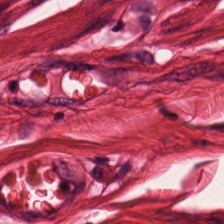H&E-stained tissue section — This patch shows smooth-muscle tissue.
